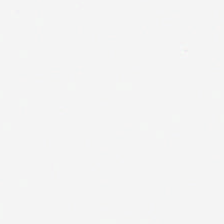H&E stain · 224×224 px patch. This patch shows no tissue.
